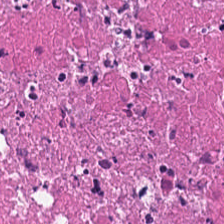Predominantly cellular debris.
